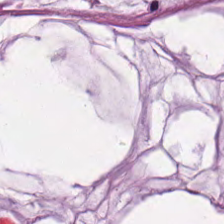H&E-stained tissue section. This field is mucus.
